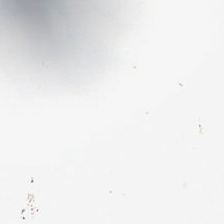H&E stain. Formalin-fixed paraffin-embedded section. Brightfield microscopy.
Classification: no tissue.
